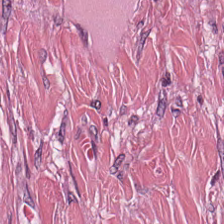Hematoxylin-and-eosin stained section · FFPE tissue section. Q: What does this patch show?
A: The field shows tumor stroma.
